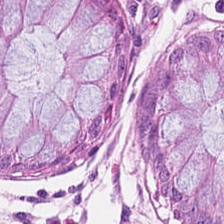Hematoxylin and eosin · brightfield.
Q: Identify the tissue.
A: It is benign colonic mucosa.
